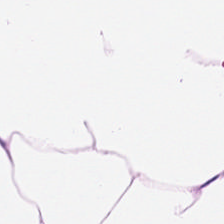Finding → fat tissue.
